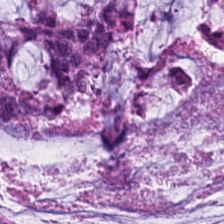Stain: H&E-stained tissue section.
Predominant tissue: extracellular mucin.
